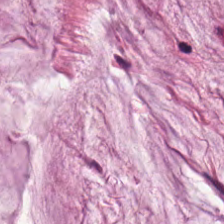H&E · whole-slide-image patch · FFPE tissue section.
Tissue — mucus.
